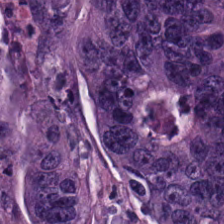Q: What type of tissue is this?
A: The field shows colorectal adenocarcinoma.
